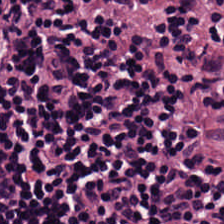0.5 microns per pixel. Hematoxylin-and-eosin stained section. The predominant tissue is lymphocytic infiltrate.
